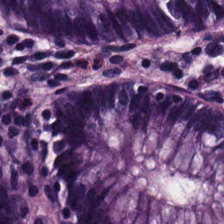Stain: hematoxylin and eosin.
Tissue: non-neoplastic colon mucosa.
